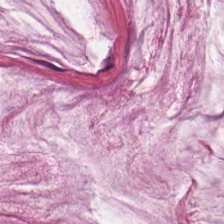H&E stain. Formalin-fixed paraffin-embedded section.
This field is extracellular mucin.
